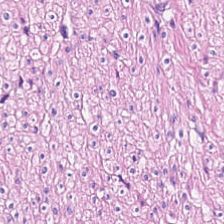This field is smooth-muscle tissue.
